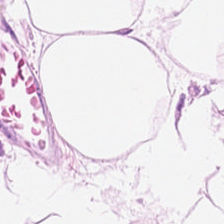Hematoxylin and eosin. Q: Classify this patch.
A: Fat tissue.
